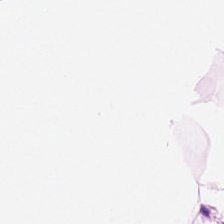Finding — adipose tissue.
